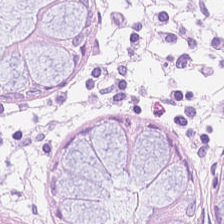H&E stain; 224×224 px patch; 0.5 µm per pixel — This field is normal colonic mucosa.
